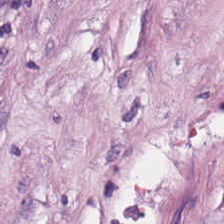Hematoxylin and eosin. This patch shows cancer-associated stroma.
